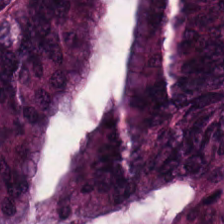WSI patch; hematoxylin and eosin — Adenocarcinoma.
